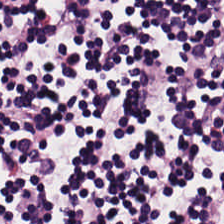H&E-stained tissue section · formalin-fixed paraffin-embedded section · 224×224 px tile.
The classification is lymphocytic infiltrate.
